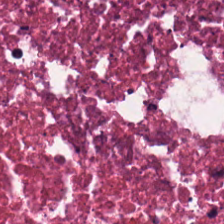Hematoxylin-and-eosin stained section; 20× equivalent magnification — Finding → necrotic debris.
